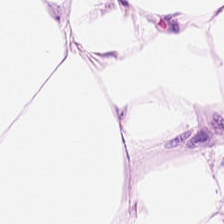Impression — adipose tissue.
